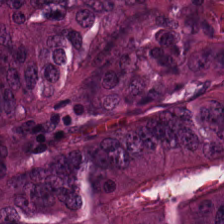Impression → tumor epithelium.
